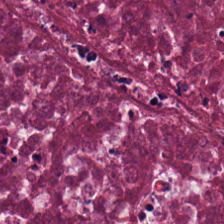FFPE tissue section; H&E; 0.5 µm/px.
This field is debris.
